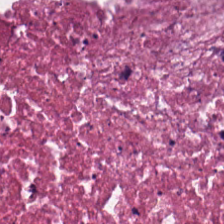Hematoxylin-and-eosin stained section — Showing necrotic debris.
